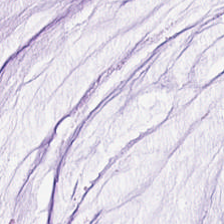H&E.
{"tissue_type": "mucin"}
